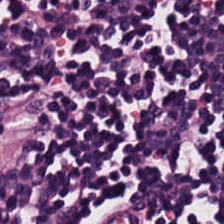Hematoxylin and eosin. Q: What is the predominant tissue type?
A: Lymphoid infiltrate.
